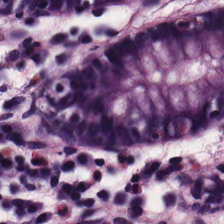0.5 microns per pixel; H&E stain — This field is non-neoplastic colon mucosa.
